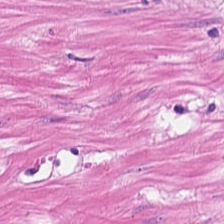H&E stain.
Showing muscularis.
